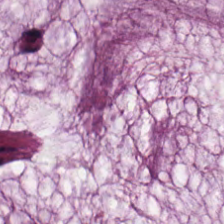H&E-stained tissue section. The predominant tissue is extracellular mucin.
